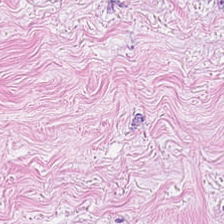Tissue = desmoplastic stroma.
